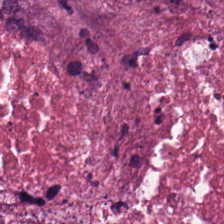Tissue type — cellular debris.
